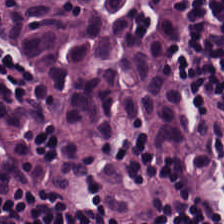Q: What type of tissue is this?
A: Lymphocytic infiltrate.
